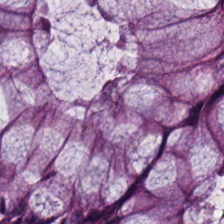Hematoxylin-and-eosin stained section · FFPE — Q: What is shown in this field?
A: This is normal colonic mucosa.
